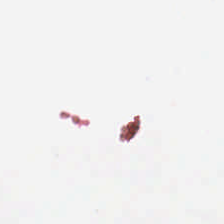Hematoxylin-and-eosin stained section. The content is background.
